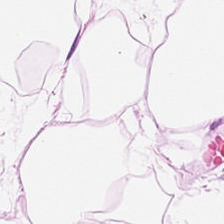H&E patch showing adipocytes.
